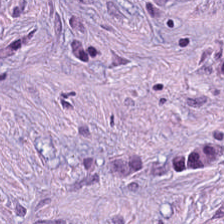H&E-stained tissue section. FFPE — Q: What is shown here?
A: This is tumor-associated stroma.
